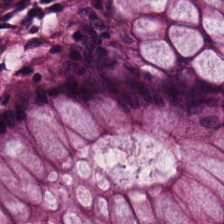WSI patch. H&E stain.
Tissue type = normal colonic mucosa.
